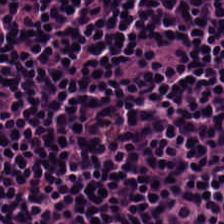Stain: hematoxylin and eosin.
Tissue type: lymphocytic infiltrate.
